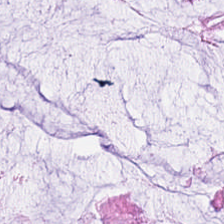Tissue — benign colonic mucosa.
